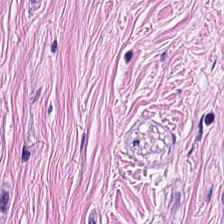Stain: H&E.
Resolution: 0.5 µm/px.
Classification: cancer-associated stroma.
